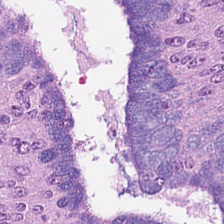H&E-stained tissue section.
Tissue type = colorectal adenocarcinoma.
